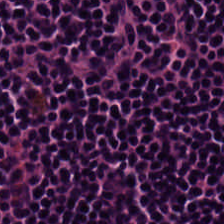Hematoxylin-and-eosin stained section · brightfield microscopy. Impression → lymphoid infiltrate.
